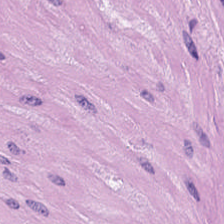FFPE · WSI patch · hematoxylin-and-eosin stained section — Q: What tissue type is shown here?
A: This is smooth-muscle tissue.
